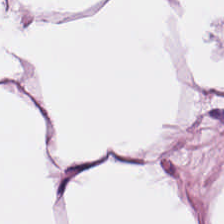The tissue type is fat tissue.
